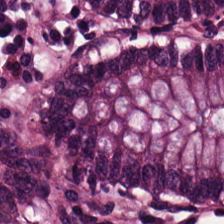H&E-stained tissue section. Q: What does this patch show?
A: Non-neoplastic colon mucosa.
